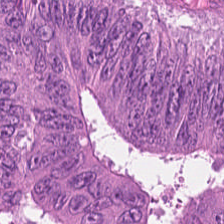Hematoxylin-and-eosin stained section · brightfield · 224×224 pixel tile.
Showing adenocarcinoma.
